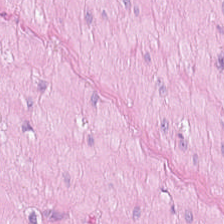H&E. Whole-slide-image patch.
Q: What is the predominant tissue type?
A: It is smooth-muscle tissue.
